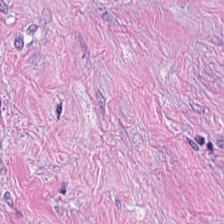Hematoxylin-and-eosin stained section. FFPE. This patch shows tumor stroma.
